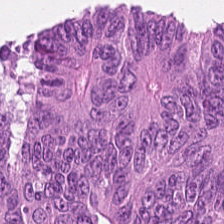This patch shows adenocarcinoma.
